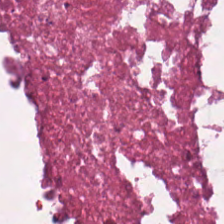H&E. 224×224 px patch — Q: What does this patch show?
A: Debris.
